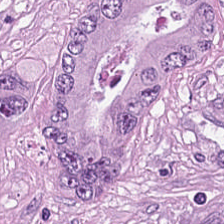Predominantly colorectal adenocarcinoma epithelium.
